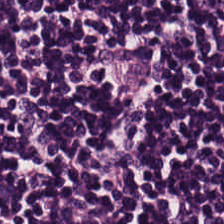H&E stain. Lymphocyte aggregate.
